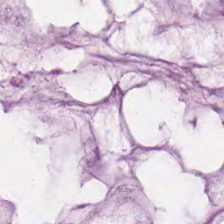The tissue type is mucus.
